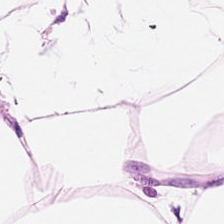H&E; 224×224 px tile; whole-slide-image patch — Q: What tissue is shown?
A: It is adipose tissue.
